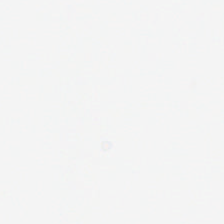FFPE tissue section. H&E-stained tissue section. 224×224 pixel tile — This patch shows no tissue.
